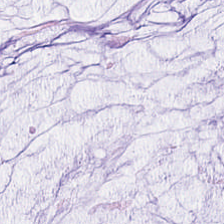H&E stain.
This field is extracellular mucin.
